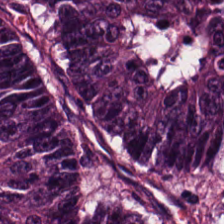H&E stain.
The tissue here is tumor epithelium.
